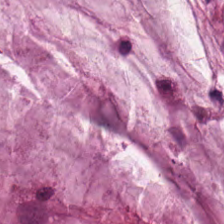Formalin-fixed paraffin-embedded section; H&E-stained tissue section. Finding — mucin.
